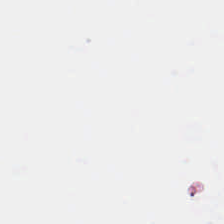Stain: H&E-stained tissue section.
Content: no tissue.
